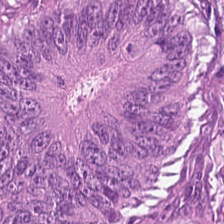H&E-stained tissue section · brightfield — The tissue here is tumor epithelium.
